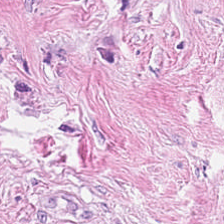Stain: hematoxylin and eosin.
Tissue: desmoplastic stroma.
